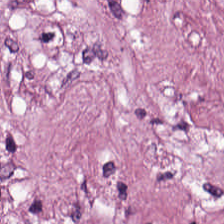Stain: H&E stain.
Resolution: 0.5 µm per pixel.
Classification: desmoplastic stroma.
